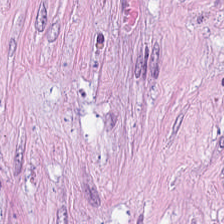WSI patch. Hematoxylin-and-eosin stained section. Q: Classify this patch.
A: The field shows tumor-associated stroma.
